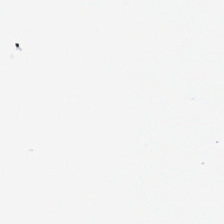H&E-stained tissue section. Q: What does this patch show?
A: This is empty background.
